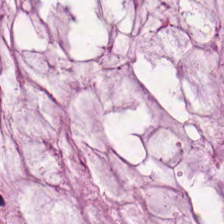H&E stain. The tissue here is mucus.
